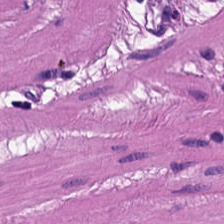H&E stain — This field is smooth muscle.
